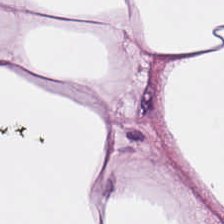H&E stain; FFPE tissue section. Showing adipose tissue.
